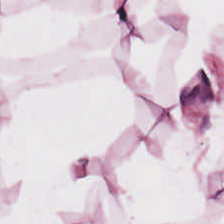Stain: H&E.
Tissue: adipose tissue.
